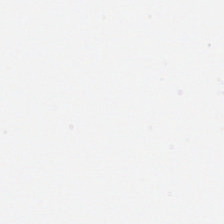Classification: background.
